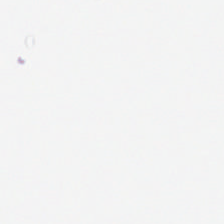Empty field — empty background.
